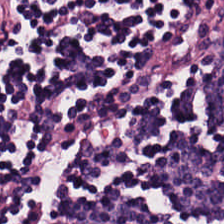The tissue here is lymphoid infiltrate.
